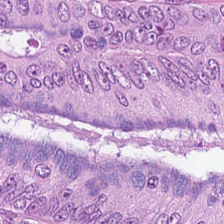H&E stain — Finding — tumor epithelium.
